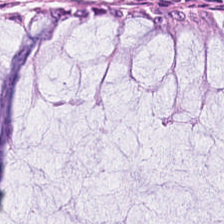H&E-stained tissue section — This field is normal colon mucosa.
